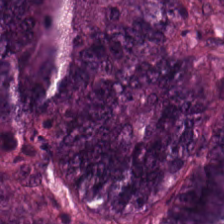H&E stain. The tissue here is adenocarcinoma.
